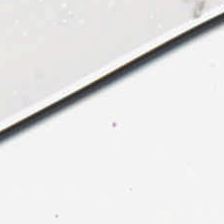Q: What is shown in this field?
A: It is no tissue.
